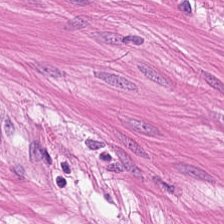{"tissue_type": "muscularis"}
